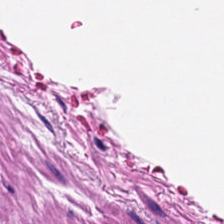0.5 microns per pixel · hematoxylin-and-eosin stained section. This patch shows muscularis.
